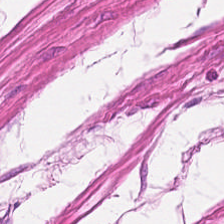Classification: smooth muscle.
